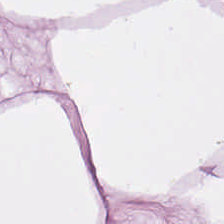H&E-stained section; the field shows adipose.
